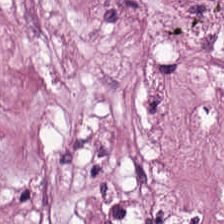H&E stain — Tissue — cancer-associated stroma.
